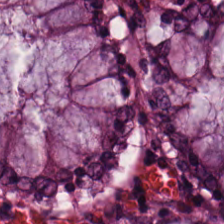Hematoxylin and eosin. This field is non-neoplastic colon mucosa.
